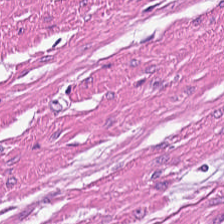H&E-stained tissue section. Showing smooth muscle.
